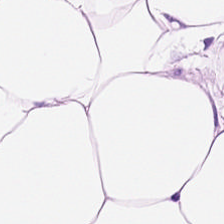Hematoxylin-and-eosin stained section.
Showing adipocytes.
